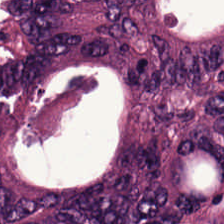H&E. Q: What does this patch show?
A: The field shows tumor epithelium.
